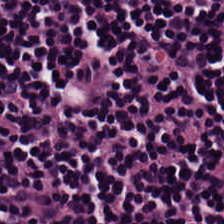Hematoxylin and eosin — Impression — lymphoid infiltrate.
